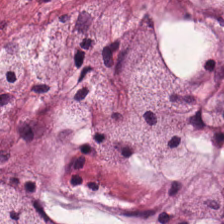Finding → extracellular mucin.
